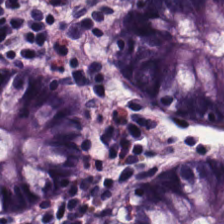H&E · formalin-fixed paraffin-embedded section — Predominantly normal colon mucosa.
